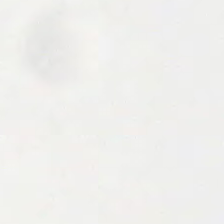H&E-stained tissue section · FFPE tissue section. Field content = background.
